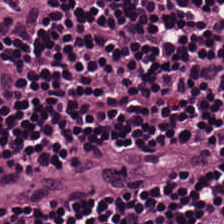H&E-stained tissue section. 224×224 px patch.
Q: What tissue type is shown here?
A: This is lymphoid infiltrate.
